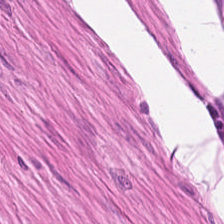Smooth muscle.
